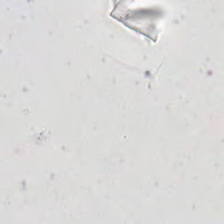Q: What is shown in this field?
A: This is no tissue.
